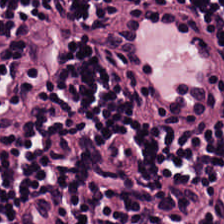WSI patch. FFPE tissue section. Hematoxylin and eosin — Lymphocytes.
